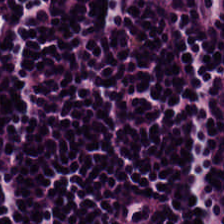The tissue here is lymphoid infiltrate.
